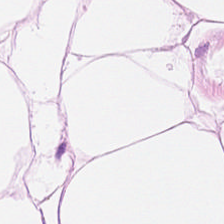Hematoxylin and eosin · 0.5 µm per pixel — Impression — fat tissue.
